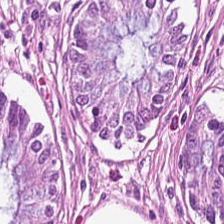Classification — normal colon mucosa.
